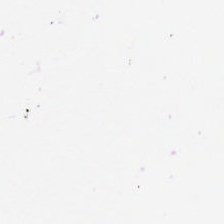Brightfield microscopy · FFPE · hematoxylin and eosin — This field is background (no tissue).
